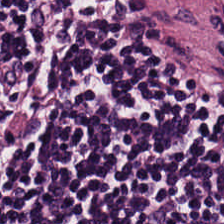H&E-stained tissue section. 0.5 µm/px. This field is lymphocytes.
